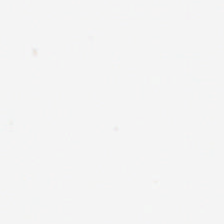H&E stain. Field content — empty background.
